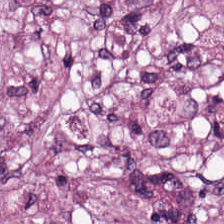H&E-stained tissue section.
Tissue — tumor stroma.
